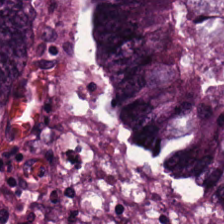H&E-stained tissue section — The predominant tissue is malignant epithelium.
